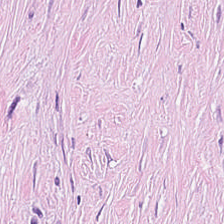H&E-stained tissue section.
Q: Classify this patch.
A: Tumor stroma.
